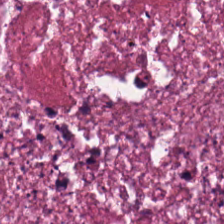H&E.
{"tissue_type": "cellular debris"}
